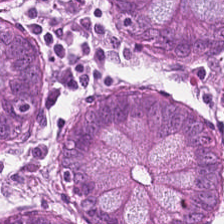Hematoxylin and eosin; 0.5 microns per pixel; WSI patch — Predominant tissue: non-neoplastic colon mucosa.
